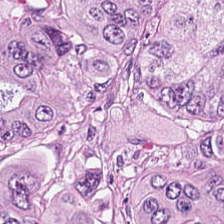Stain: hematoxylin and eosin.
Preparation: FFPE.
Classification: adenocarcinoma.
